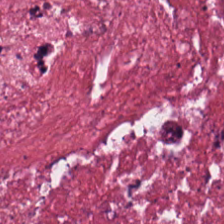H&E stain. The classification is tumor-associated stroma.
